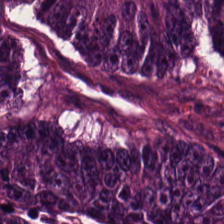Hematoxylin and eosin — Predominant tissue — malignant epithelium.
